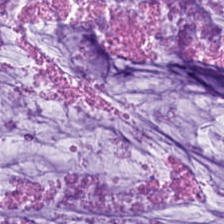H&E — extracellular mucin.
